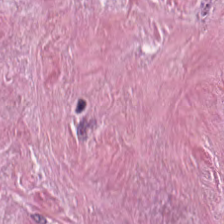Stain: H&E.
Preparation: FFPE tissue section.
Classification: tumor-associated stroma.
